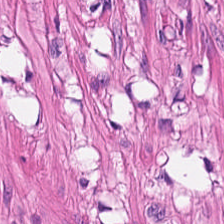224×224 px patch · whole-slide-image patch · hematoxylin and eosin.
The predominant tissue is smooth muscle.
